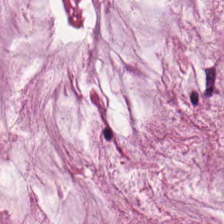Classification — extracellular mucin.
